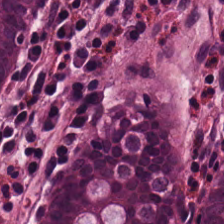H&E.
This field is normal colonic mucosa.
